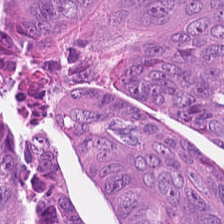The predominant tissue is tumor epithelium.
